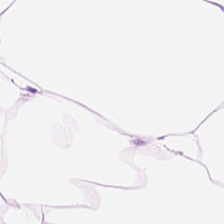Stain: hematoxylin and eosin.
Tile size: 224×224 px tile.
Acquisition: brightfield.
Classification: adipocytes.
